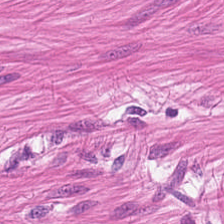H&E. This field is muscularis.
